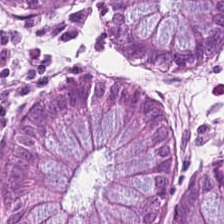H&E stain. 0.5 µm/px.
Tissue: normal colon mucosa.
